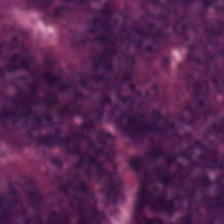Hematoxylin-and-eosin stained section · brightfield — Finding — malignant epithelium.
